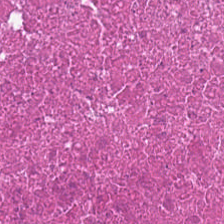H&E stain — Q: What type of tissue is this?
A: Debris.
